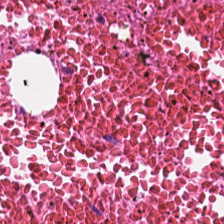The predominant tissue is cellular debris.
